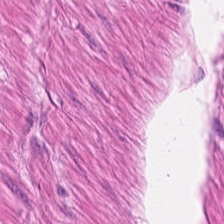H&E-stained tissue section; 224×224 px tile. Histology — muscularis.
